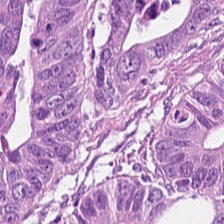Brightfield microscopy. H&E stain — Predominantly colorectal adenocarcinoma.
